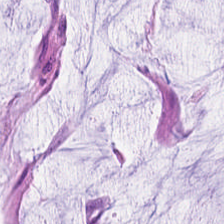H&E stain. Impression → extracellular mucin.
